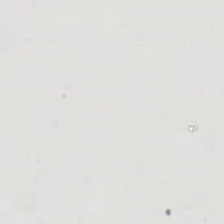Hematoxylin-and-eosin stained section; 0.5 µm per pixel — Background — no tissue in this field.
